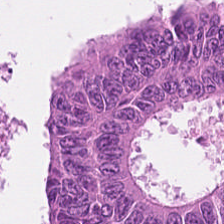H&E-stained tissue section. Q: What is shown here?
A: This is colorectal adenocarcinoma.
